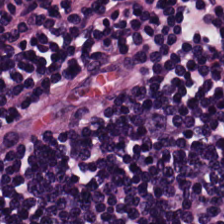Hematoxylin-and-eosin stained section. Formalin-fixed paraffin-embedded section. 20× equivalent magnification — Histology → lymphoid infiltrate.
